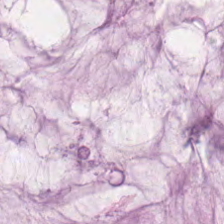Stain: H&E-stained tissue section.
Predominant tissue: mucin.
